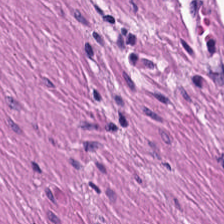20× equivalent magnification. H&E stain.
Finding — smooth muscle.
